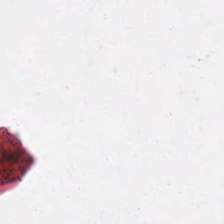No tissue present; background only.
